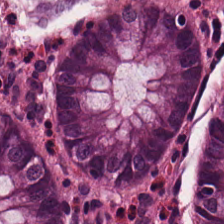H&E — Tissue type — normal colon mucosa.
